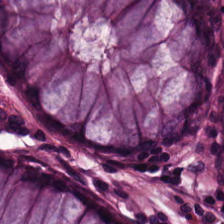WSI patch. Hematoxylin-and-eosin stained section. Finding — normal colonic mucosa.
